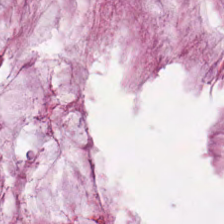H&E-stained tissue section — The predominant tissue is extracellular mucin.
